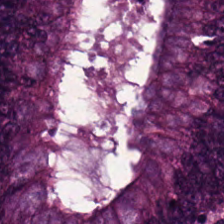Stain: hematoxylin-and-eosin stained section.
Tissue class: colorectal adenocarcinoma epithelium.
